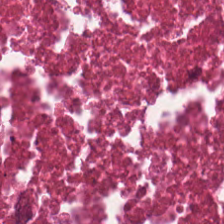H&E patch showing cellular debris.
